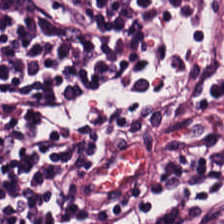224×224 pixel tile; H&E-stained tissue section; brightfield — Q: What is the predominant tissue type?
A: It is lymphocyte aggregate.
